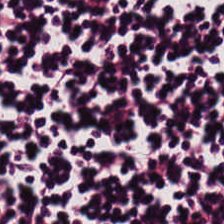Formalin-fixed paraffin-embedded section; H&E stain; 0.5 µm/px.
The predominant tissue is lymphocytes.
